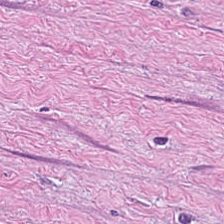H&E stain.
The tissue here is tumor-associated stroma.
